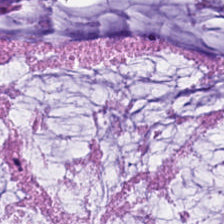Hematoxylin and eosin. This patch shows mucus.
